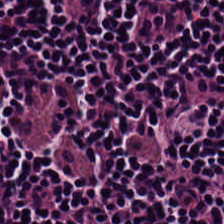Whole-slide-image patch · H&E — Tissue class: lymphocytic infiltrate.
